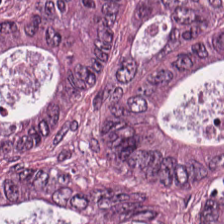224×224 pixel tile; H&E stain; 0.5 microns per pixel — The tissue is tumor epithelium.
